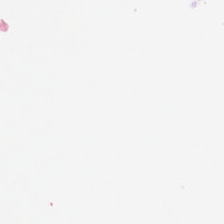Hematoxylin-and-eosin stained section.
Content = background (no tissue).
